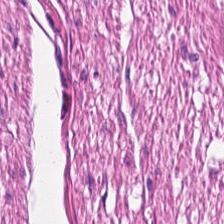Q: What is shown in this field?
A: Smooth-muscle tissue.
